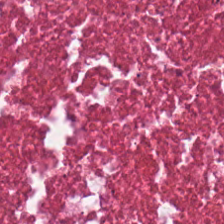H&E-stained tissue section.
Q: What tissue type is shown here?
A: It is necrotic debris.
